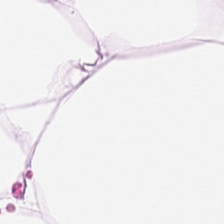224×224 px patch · H&E stain · whole-slide-image patch.
Predominantly adipocytes.
